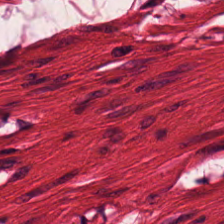H&E-stained tissue section; WSI patch.
Smooth muscle.
